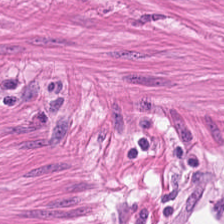Finding — smooth muscle.
